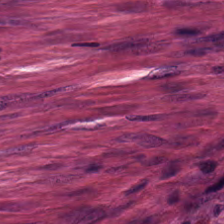H&E — desmoplastic stroma.
